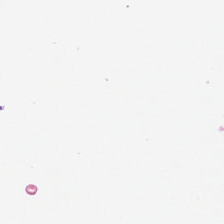224×224 pixel tile. Brightfield. H&E — Classification — empty background.
